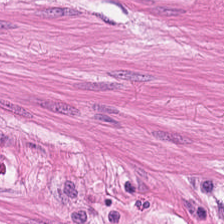H&E-stained tissue section.
Smooth muscle.
